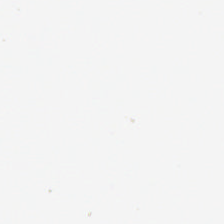WSI patch. Hematoxylin and eosin. 224×224 px patch — This field is background (no tissue).
